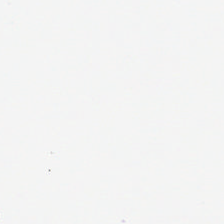Q: What is shown in this field?
A: It is background.
